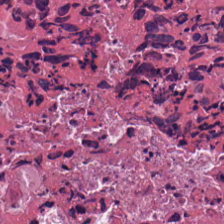The tissue here is cellular debris.
